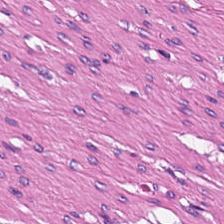H&E-stained tissue section. This patch shows smooth-muscle tissue.
